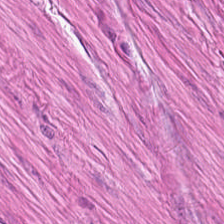Stain: H&E.
Tissue: muscularis.
